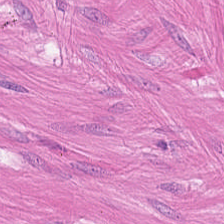Muscularis.
